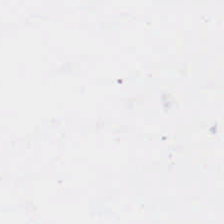Q: What does this patch show?
A: It is empty background.
